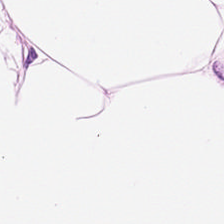Stain: H&E stain.
Predominant tissue: adipose.
